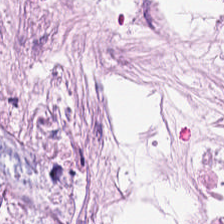Tissue class = tumor stroma.
